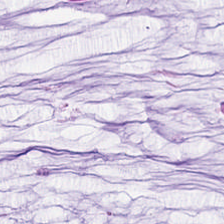Brightfield microscopy · FFPE · H&E stain — The predominant tissue is extracellular mucin.
